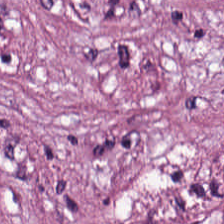Hematoxylin and eosin — The tissue here is tumor-associated stroma.
